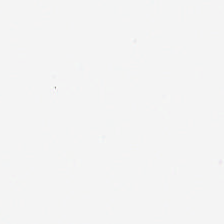H&E. Field content — background (no tissue).
